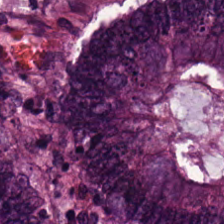Classification: colorectal adenocarcinoma epithelium.
